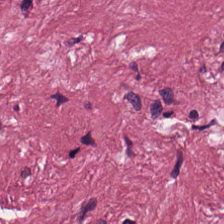Hematoxylin-and-eosin stained section — This field is desmoplastic stroma.
